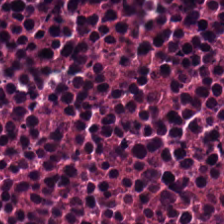H&E — cellular debris.
